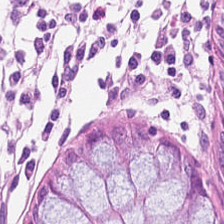H&E-stained tissue section. Q: What does this patch show?
A: The field shows non-neoplastic colon mucosa.
